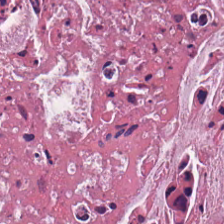The classification is cellular debris.
